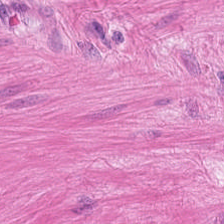H&E-stained tissue section — This patch shows muscularis.
